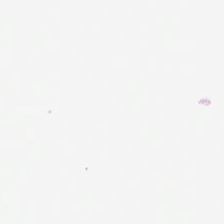H&E — No tissue present; background only.
